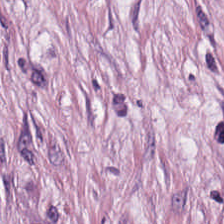Hematoxylin and eosin. Predominant tissue: tumor-associated stroma.
